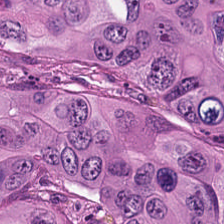Hematoxylin and eosin. Tissue = colorectal adenocarcinoma.
